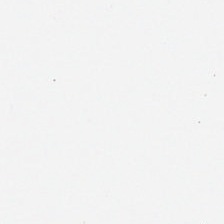Stain: H&E-stained tissue section.
Field content: background.
